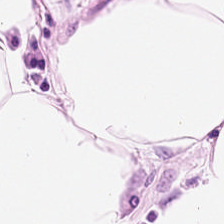Stain: hematoxylin-and-eosin stained section.
Predominant tissue: adipocytes.
